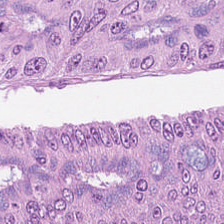Predominant tissue = adenocarcinoma.
